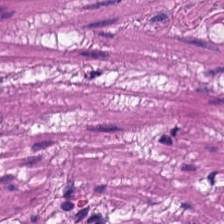20× equivalent magnification; hematoxylin-and-eosin stained section; FFPE — Predominantly smooth muscle.
